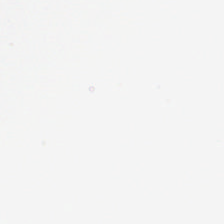Stain: H&E.
Field content: empty background.
